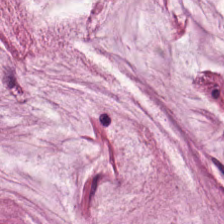H&E-stained tissue section; 224×224 px patch; 0.5 µm/px. The predominant tissue is mucin.
